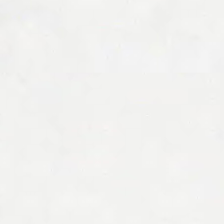Stain: H&E-stained tissue section.
Acquisition: WSI patch.
Field content: empty background.
